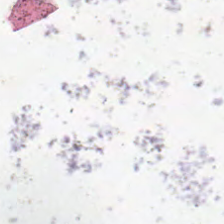H&E-stained tissue section — Finding — background.
